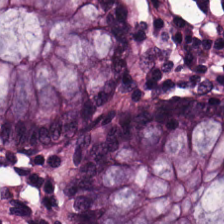0.5 µm/px. H&E — Normal colon mucosa.
